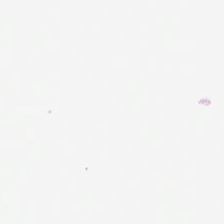Stain: H&E stain.
Field content: background (no tissue).
